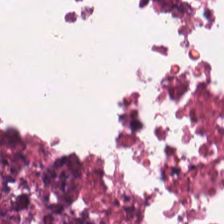H&E-stained tissue section. This patch shows debris.
